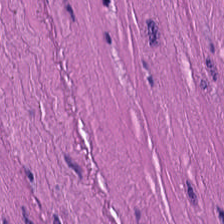Stain: hematoxylin-and-eosin stained section.
Resolution: 0.5 µm per pixel.
Classification: muscularis.
